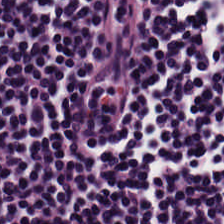0.5 µm/px. H&E-stained tissue section.
Impression — lymphoid infiltrate.
